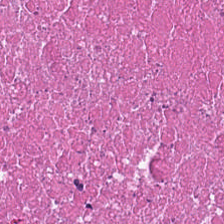Stain: hematoxylin and eosin.
Tissue class: debris.
